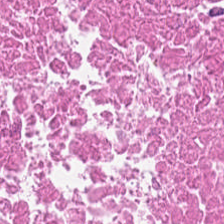The classification is necrotic debris.
